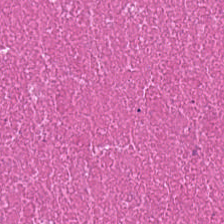{"tissue_type": "cellular debris"}
